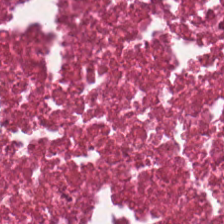H&E — Q: What tissue is shown?
A: The field shows cellular debris.
